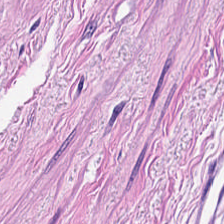H&E stain — Tissue — muscularis.
